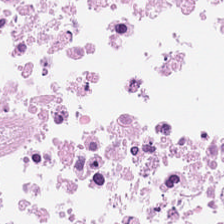H&E-stained tissue section. Q: Identify the tissue.
A: Cellular debris.
